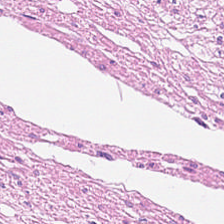224×224 px tile · H&E-stained tissue section. {"tissue_type": "smooth-muscle tissue"}
